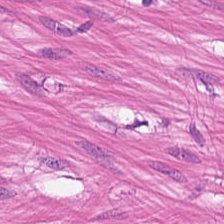Q: What is shown here?
A: It is muscularis.
